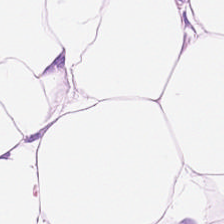H&E stain. Showing fat tissue.
